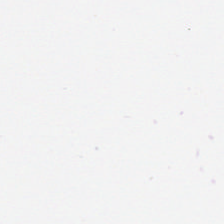Hematoxylin-and-eosin stained section. Field content: background (no tissue).
